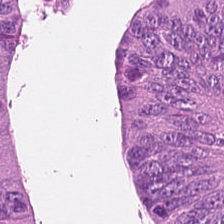H&E-stained tissue section. Predominant tissue — colorectal adenocarcinoma epithelium.
